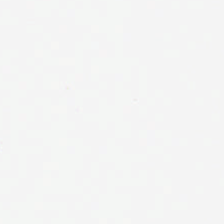Empty field — no tissue.
